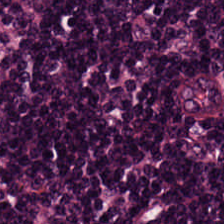H&E-stained section; the field shows lymphoid infiltrate.
